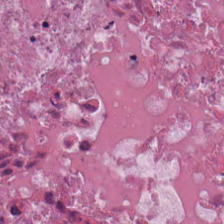H&E stain — Classification = debris.
